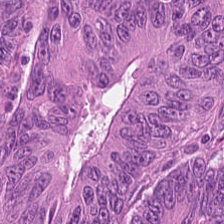FFPE tissue section; H&E stain; 224×224 px patch. The predominant tissue is malignant epithelium.
